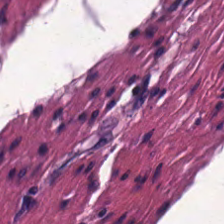H&E stain — The tissue is smooth muscle.
